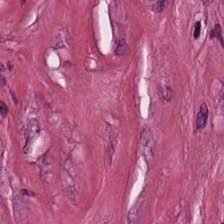20× equivalent magnification. H&E-stained tissue section.
Q: What is shown in this field?
A: It is tumor stroma.
